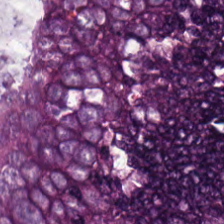FFPE tissue section. H&E stain. Brightfield microscopy. Showing colorectal adenocarcinoma.
